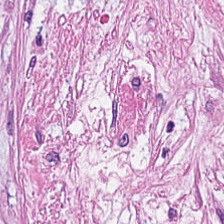Brightfield microscopy · H&E-stained tissue section — Finding → tumor-associated stroma.
